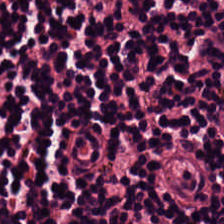Hematoxylin and eosin. 0.5 µm/px.
Predominant tissue = lymphocytes.
